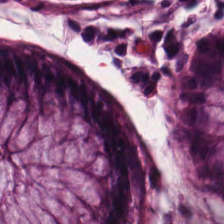Formalin-fixed paraffin-embedded section; H&E; 0.5 µm/px.
The tissue is normal colon mucosa.
